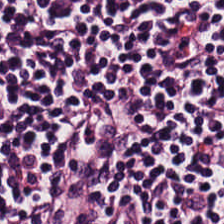Stain: H&E.
Classification: lymphocytes.
